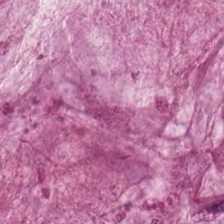Hematoxylin and eosin.
Impression — mucin.
